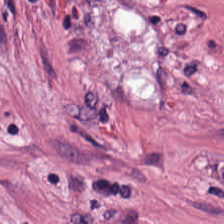Brightfield · H&E-stained tissue section · 0.5 microns per pixel — This field is tumor stroma.
